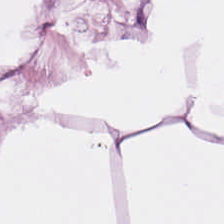Stain: hematoxylin-and-eosin stained section.
Tissue type: adipose tissue.
